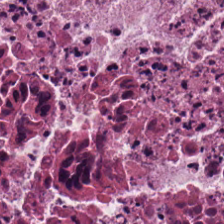This patch shows debris.
